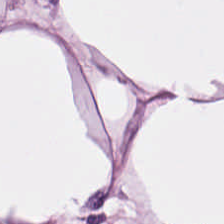Q: Identify the tissue.
A: The field shows fat tissue.
